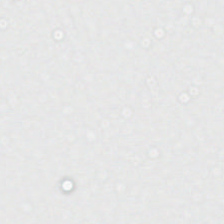Whole-slide-image patch. H&E stain — Content — no tissue.
